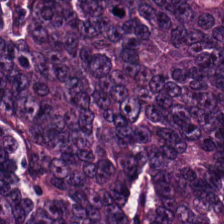Histology — adenocarcinoma.
